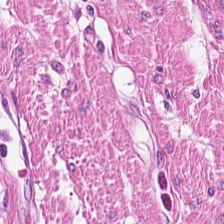H&E.
Q: What is the predominant tissue type?
A: The field shows smooth-muscle tissue.
